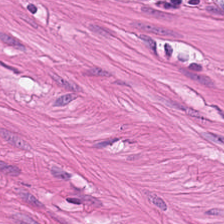Stain: H&E-stained tissue section.
Resolution: 0.5 µm per pixel.
Acquisition: brightfield microscopy.
Predominant tissue: smooth-muscle tissue.
